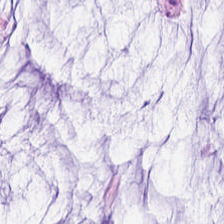Hematoxylin and eosin. Impression — extracellular mucin.
